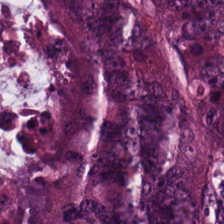Hematoxylin-and-eosin stained section.
Predominantly adenocarcinoma.
